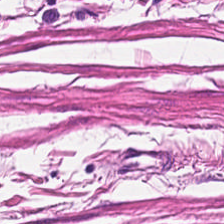Brightfield; hematoxylin and eosin; 0.5 µm per pixel — Tissue type: smooth muscle.
